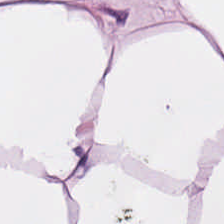Q: What does this patch show?
A: The field shows adipose.
